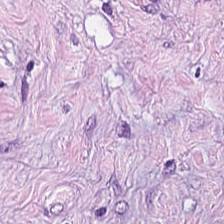0.5 µm per pixel. Hematoxylin-and-eosin stained section. Whole-slide-image patch.
Finding → tumor-associated stroma.
